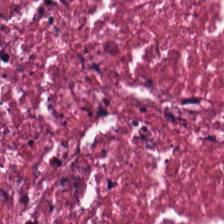H&E-stained tissue section · 0.5 microns per pixel. Q: What tissue is shown?
A: This is necrotic debris.
